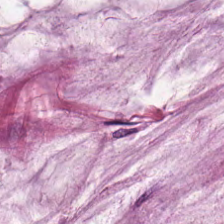H&E. Impression — mucus.
